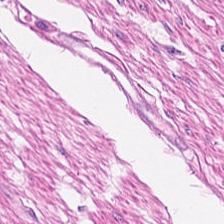FFPE · H&E-stained tissue section · brightfield microscopy.
Q: What is the predominant tissue type?
A: It is muscularis.
